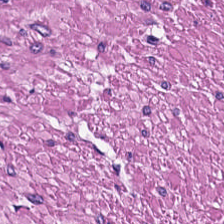Classification: smooth muscle.
